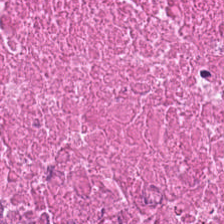H&E stain.
Q: What tissue is shown?
A: The field shows cellular debris.
